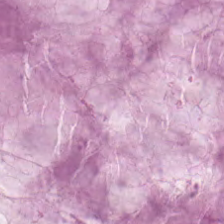Hematoxylin and eosin. Tissue = extracellular mucin.
